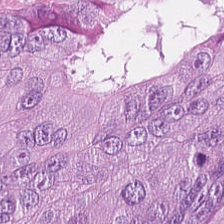H&E; brightfield.
Tumor epithelium.
